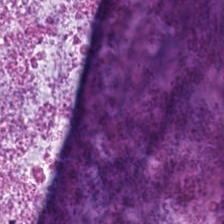Stain: hematoxylin and eosin.
Predominant tissue: extracellular mucin.
